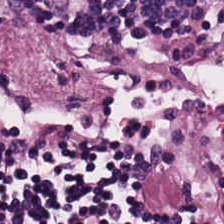H&E stain; FFPE; brightfield microscopy. Q: Classify this patch.
A: Lymphocyte aggregate.
